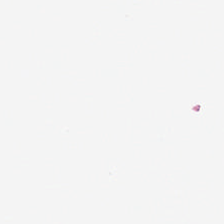H&E stain. Q: Classify this patch.
A: It is background (no tissue).
